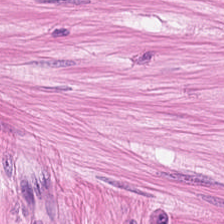H&E; brightfield. The tissue here is muscularis.
